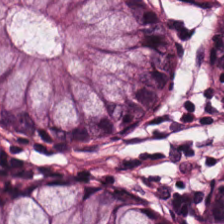224×224 px patch; H&E — Predominant tissue — normal colonic mucosa.
